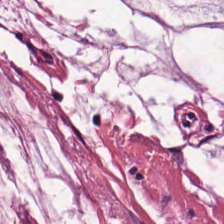Hematoxylin-and-eosin stained section.
Q: Classify this patch.
A: This is mucin.
